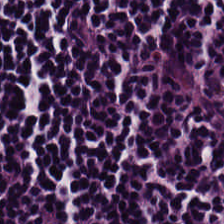H&E.
Impression — lymphocytic infiltrate.
